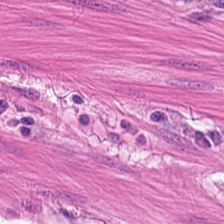H&E-stained tissue section.
Q: Identify the tissue.
A: It is smooth muscle.
